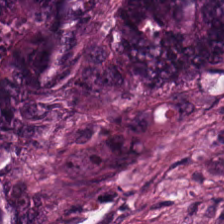Stain: H&E.
Resolution: 0.5 µm per pixel.
Preparation: formalin-fixed paraffin-embedded section.
Tissue type: adenocarcinoma.
